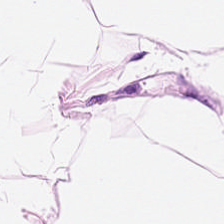FFPE tissue section. H&E stain — Histology → fat tissue.
